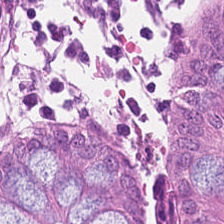H&E-stained tissue section. Brightfield. This patch shows normal colonic mucosa.
